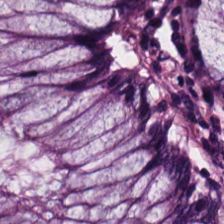Hematoxylin-and-eosin stained section. Normal colonic mucosa.
